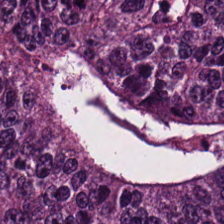Hematoxylin and eosin. Tissue class = adenocarcinoma.
